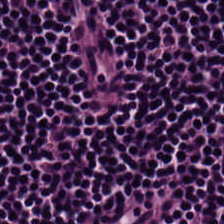{"tissue_type": "lymphocytes"}
